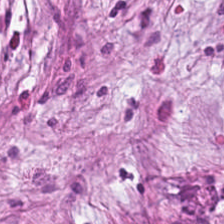This patch shows cancer-associated stroma.
